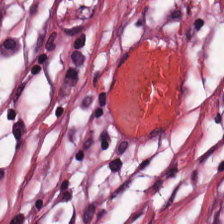224×224 px tile; hematoxylin and eosin. Predominant tissue: tumor-associated stroma.
